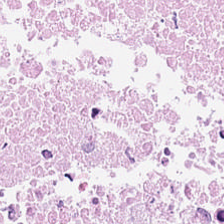Brightfield. H&E stain — Q: What is the predominant tissue type?
A: The field shows necrotic debris.
